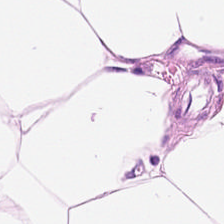Stain: hematoxylin-and-eosin stained section.
Classification: adipocytes.
